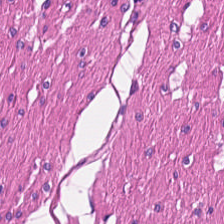Hematoxylin and eosin — {"tissue_type": "smooth muscle"}
